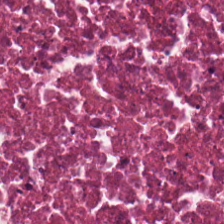Brightfield. Hematoxylin-and-eosin stained section.
Predominantly cellular debris.
